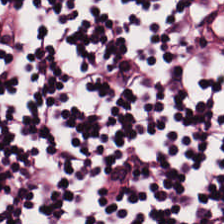H&E — Tissue — lymphoid infiltrate.
